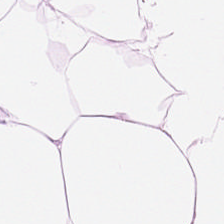H&E · formalin-fixed paraffin-embedded section · 224×224 px patch.
The predominant tissue is adipose.
